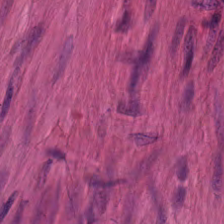H&E — muscularis.
